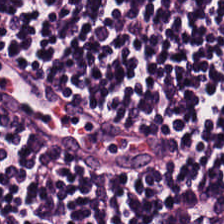H&E-stained tissue section — Predominant tissue: lymphocytes.
